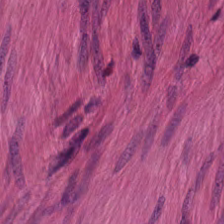Stain: hematoxylin-and-eosin stained section.
Tissue: muscularis.
